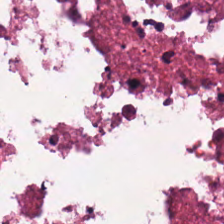Stain: H&E.
Classification: cellular debris.
